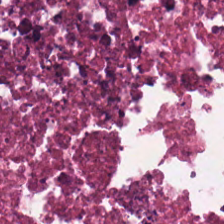H&E-stained tissue section; 0.5 microns per pixel — Q: What tissue type is shown here?
A: The field shows debris.
